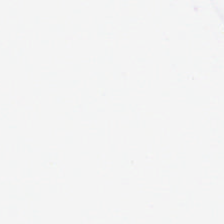20× equivalent magnification · H&E-stained tissue section · FFPE tissue section — The content is empty background.
